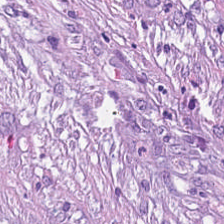Hematoxylin and eosin. Showing tumor-associated stroma.
